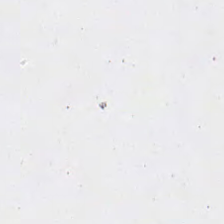H&E — Q: Classify this patch.
A: It is background (no tissue).
